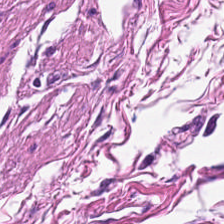H&E stain — Tissue class — smooth muscle.
